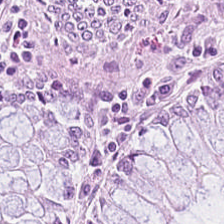Hematoxylin-and-eosin stained section; brightfield microscopy; FFPE. Q: What tissue is shown?
A: Normal colonic mucosa.
